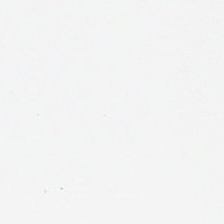Hematoxylin-and-eosin stained section.
No tissue present; background only.
